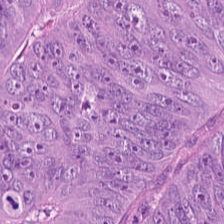Hematoxylin and eosin.
Histology → colorectal adenocarcinoma epithelium.
